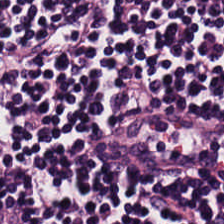This patch shows lymphocytes.
